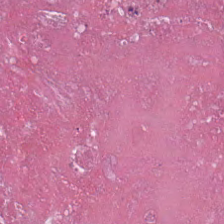224×224 px tile · hematoxylin and eosin. This field is debris.
